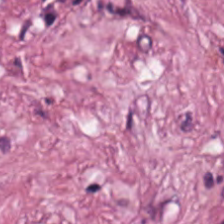Stain: H&E.
Preparation: FFPE tissue section.
Tissue type: tumor-associated stroma.
